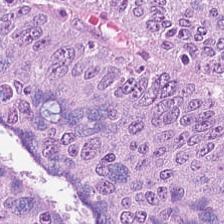H&E stain. 224×224 px patch. 0.5 microns per pixel — Predominantly colorectal adenocarcinoma.
